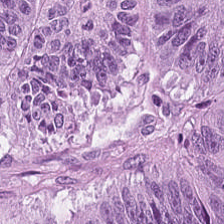Stain: H&E.
Predominant tissue: tumor epithelium.
